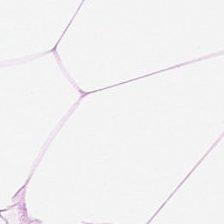Tissue type: fat tissue.
